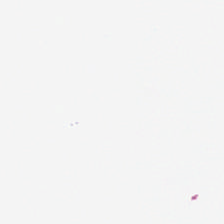Q: What is shown in this field?
A: No tissue.
